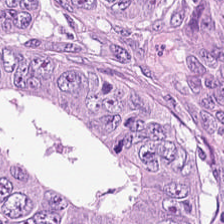H&E — Tissue class: tumor epithelium.
